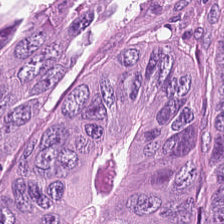H&E patch showing tumor epithelium.
